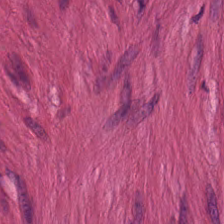Hematoxylin-and-eosin stained section.
This patch shows smooth-muscle tissue.
